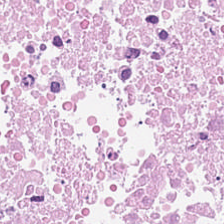Hematoxylin-and-eosin stained section.
The tissue here is cellular debris.
